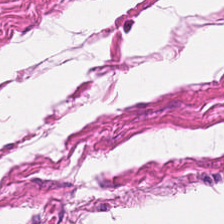Hematoxylin-and-eosin stained section — Showing smooth-muscle tissue.
